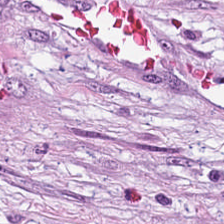Stain: hematoxylin-and-eosin stained section.
Tissue type: tumor-associated stroma.
